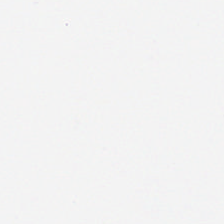H&E · formalin-fixed paraffin-embedded section — Q: What does this patch show?
A: Empty background.
